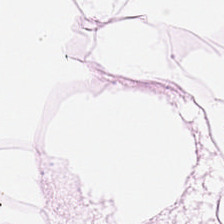Tissue: adipocytes.
